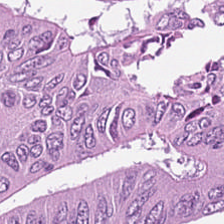Tumor epithelium.
